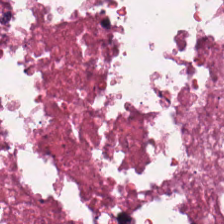H&E stain; formalin-fixed paraffin-embedded section. Impression — cellular debris.
